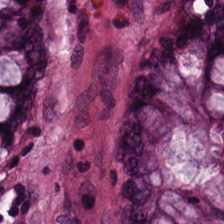H&E — benign colonic mucosa.
